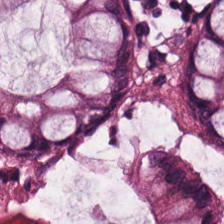Classification = non-neoplastic colon mucosa.
